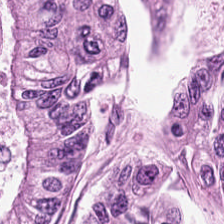H&E. Tissue type = malignant epithelium.
